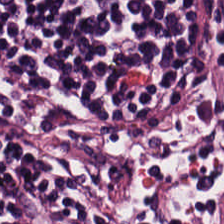H&E stain · 224×224 px tile.
Q: What is shown in this field?
A: The field shows lymphocyte aggregate.
